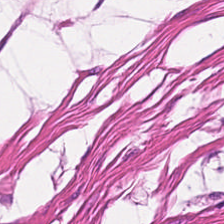Brightfield · FFPE tissue section · hematoxylin-and-eosin stained section.
Q: Classify this patch.
A: The field shows muscularis.
